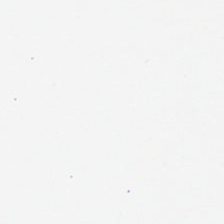Hematoxylin and eosin. Formalin-fixed paraffin-embedded section. This field is background (no tissue).
